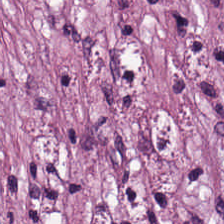H&E. Tissue — cancer-associated stroma.
